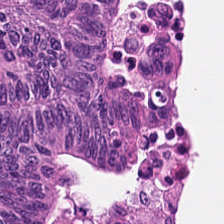224×224 px tile · hematoxylin and eosin · formalin-fixed paraffin-embedded section — Impression — adenocarcinoma.
